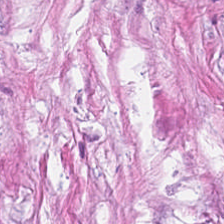FFPE tissue section · H&E stain.
The tissue is tumor stroma.
